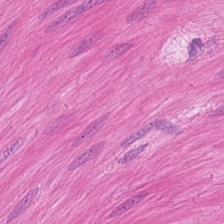Impression → muscularis.
